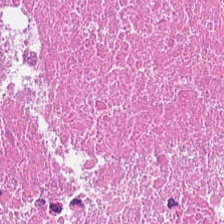Hematoxylin and eosin — Showing debris.
